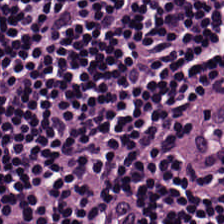Stain: H&E-stained tissue section.
Tissue class: lymphocytic infiltrate.
